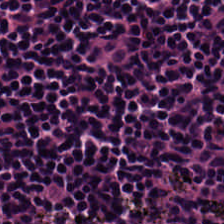FFPE · hematoxylin and eosin.
The predominant tissue is lymphocytes.
